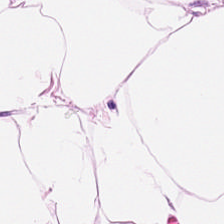224×224 pixel tile · hematoxylin-and-eosin stained section. Finding → fat tissue.
